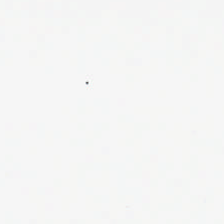0.5 µm per pixel; H&E.
Q: Classify this patch.
A: It is empty background.
